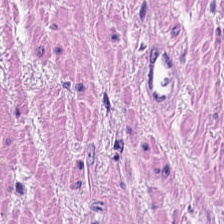0.5 µm/px. Hematoxylin and eosin. 224×224 px tile — This patch shows smooth muscle.
